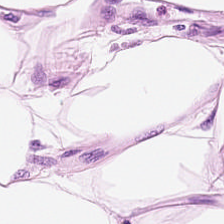{"tissue_type": "adipocytes"}
